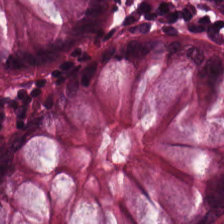H&E-stained tissue section — The predominant tissue is normal colon mucosa.
